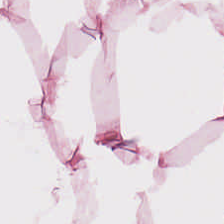H&E stain. WSI patch. Q: What is shown here?
A: Adipose.
